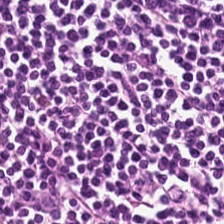Brightfield. H&E-stained tissue section. Predominantly lymphocyte aggregate.
